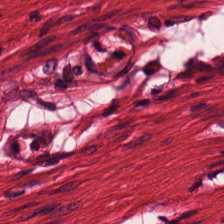H&E stain; 224×224 pixel tile — The tissue here is smooth muscle.
